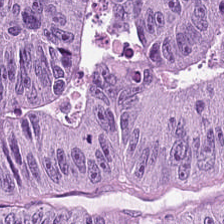Hematoxylin and eosin · formalin-fixed paraffin-embedded section — The predominant tissue is colorectal adenocarcinoma epithelium.
